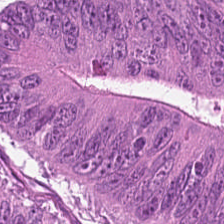H&E; 224×224 pixel tile — Colorectal adenocarcinoma epithelium.
